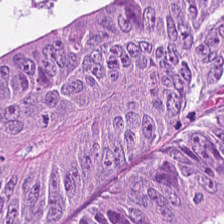H&E — The predominant tissue is tumor epithelium.
